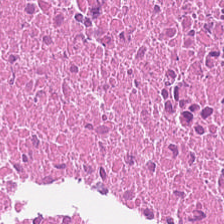Hematoxylin and eosin. {"tissue_type": "necrotic debris"}
